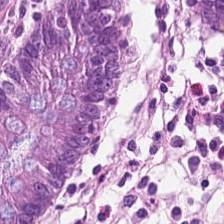Formalin-fixed paraffin-embedded section · 224×224 px tile · hematoxylin and eosin.
Q: What is shown here?
A: This is normal colon mucosa.
